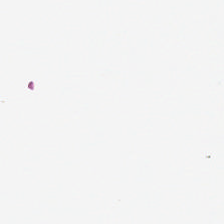H&E stain; WSI patch — Classification: empty background.
